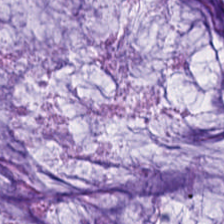H&E-stained tissue section · 0.5 µm/px · 224×224 pixel tile. Q: What is shown in this field?
A: Extracellular mucin.
